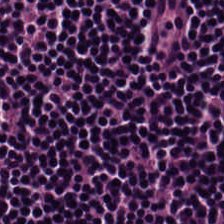Histology — lymphocyte aggregate.
